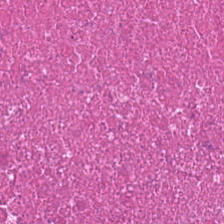H&E-stained tissue section · WSI patch.
Tissue class = cellular debris.
